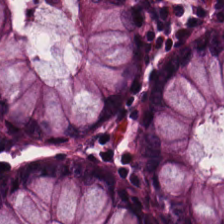H&E stain. This field is normal colon mucosa.
